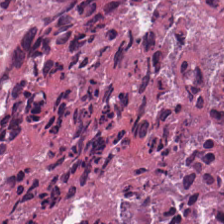Whole-slide-image patch; H&E-stained tissue section — Classification — necrotic debris.
